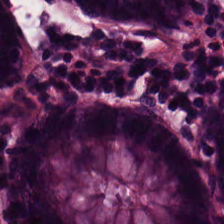H&E-stained tissue section. WSI patch. Showing normal colonic mucosa.
